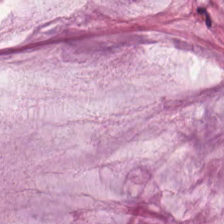Stain: H&E.
Tissue type: mucin.
